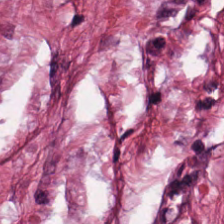Hematoxylin-and-eosin stained section — This field is cancer-associated stroma.
